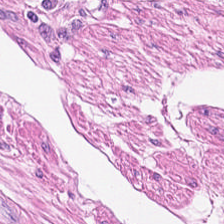0.5 µm per pixel · hematoxylin and eosin — Smooth muscle.
